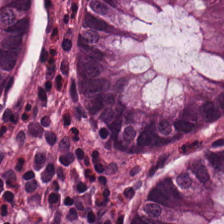H&E-stained tissue section. {"tissue_type": "benign colonic mucosa"}
